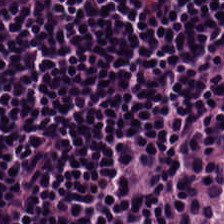H&E.
Classification: lymphocyte aggregate.
